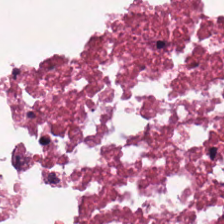Q: Classify this patch.
A: The field shows debris.
